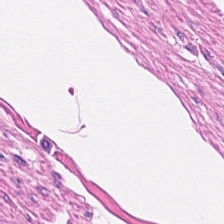FFPE. H&E stain — Showing muscularis.
